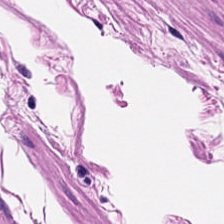Stain: hematoxylin and eosin.
Preparation: formalin-fixed paraffin-embedded section.
Tissue: smooth-muscle tissue.
